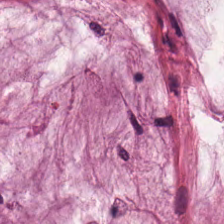20× equivalent magnification · H&E · 224×224 pixel tile. Q: What is the predominant tissue type?
A: The field shows mucin.
